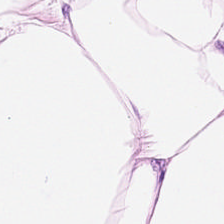Hematoxylin and eosin; 224×224 px patch — Q: What is shown in this field?
A: This is fat tissue.
